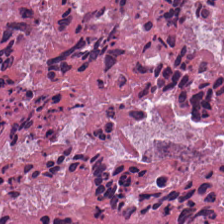Predominant tissue — cellular debris.
